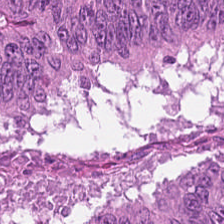H&E-stained tissue section. Formalin-fixed paraffin-embedded section. 224×224 px patch.
Colorectal adenocarcinoma epithelium.
